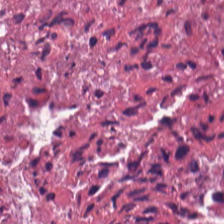224×224 pixel tile. FFPE. Hematoxylin and eosin. Impression — necrotic debris.
